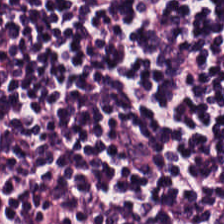H&E-stained tissue section. The classification is lymphocytes.
